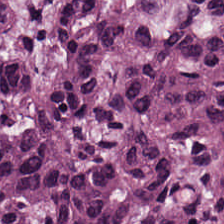H&E-stained tissue section — Tissue type: malignant epithelium.
